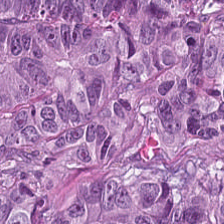H&E-stained tissue section. The predominant tissue is malignant epithelium.
